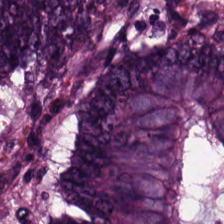H&E-stained tissue section. Predominant tissue: adenocarcinoma.
